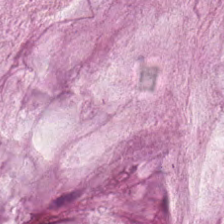20× equivalent magnification. FFPE tissue section. H&E. Tissue = mucus.
